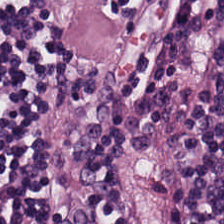Hematoxylin-and-eosin stained section. Predominant tissue — lymphocyte aggregate.
